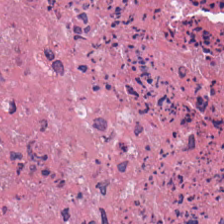20× equivalent magnification; H&E stain.
The tissue here is debris.
